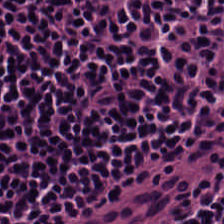0.5 microns per pixel; H&E-stained tissue section — Impression — lymphocyte aggregate.
